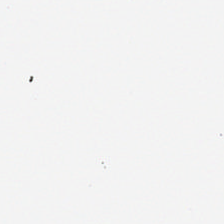Hematoxylin and eosin. Q: What is shown in this field?
A: This is empty background.
